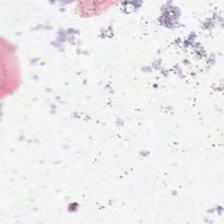FFPE. Hematoxylin-and-eosin stained section. WSI patch. This field is background (no tissue).
